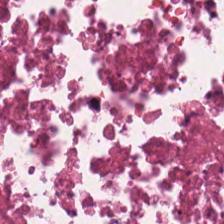Whole-slide-image patch; H&E. Q: What is the predominant tissue type?
A: The field shows necrotic debris.
